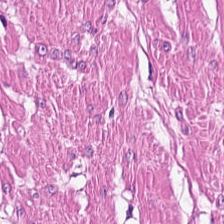224×224 pixel tile; hematoxylin and eosin. This field is muscularis.
